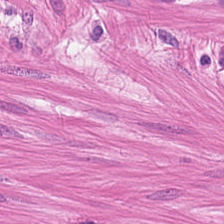H&E stain. Q: What is shown here?
A: This is muscularis.
